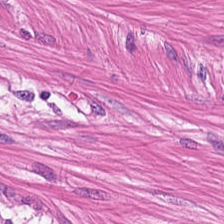224×224 px tile · 0.5 µm per pixel · H&E.
Q: Identify the tissue.
A: It is muscularis.
